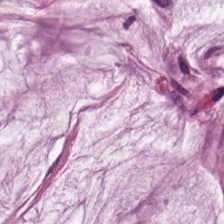Q: What is shown here?
A: The field shows mucus.
